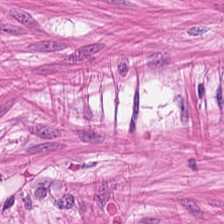Formalin-fixed paraffin-embedded section · H&E-stained tissue section. Predominantly smooth-muscle tissue.
